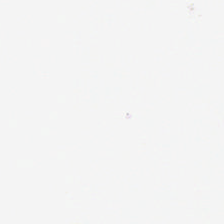H&E.
Field content = empty background.
